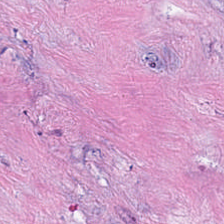Hematoxylin-and-eosin stained section.
Histology — tumor-associated stroma.
